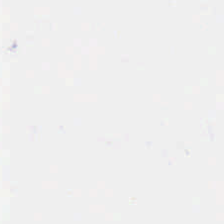Stain: H&E stain.
Classification: empty background.
